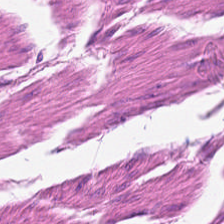0.5 µm/px · hematoxylin-and-eosin stained section — Tissue class = smooth muscle.
